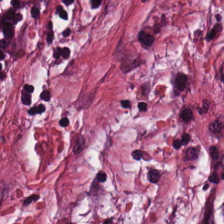H&E-stained tissue section.
Classification = desmoplastic stroma.
